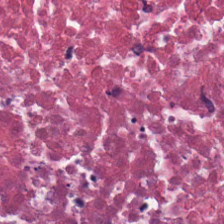Hematoxylin and eosin. Histology → cellular debris.
